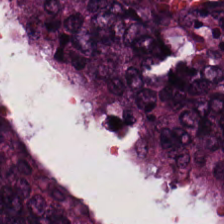224×224 pixel tile · H&E-stained tissue section.
Colorectal adenocarcinoma epithelium.
